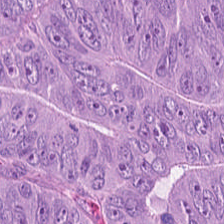Brightfield microscopy. H&E. The predominant tissue is adenocarcinoma.
